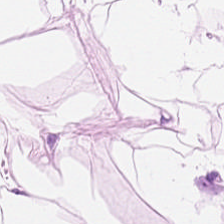Hematoxylin-and-eosin stained section. Q: Classify this patch.
A: The field shows fat tissue.
